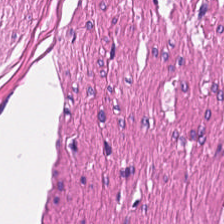H&E. Formalin-fixed paraffin-embedded section. 224×224 pixel tile. This patch shows smooth muscle.
